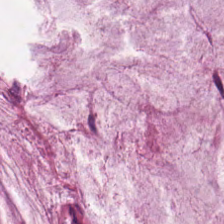224×224 px patch · hematoxylin-and-eosin stained section. The predominant tissue is mucus.
